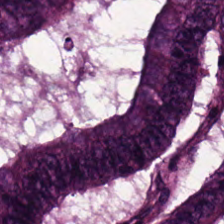Stain: hematoxylin and eosin.
Tissue: colorectal adenocarcinoma epithelium.
